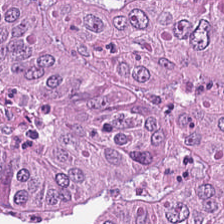FFPE. Hematoxylin and eosin. Q: What is shown here?
A: This is adenocarcinoma.
